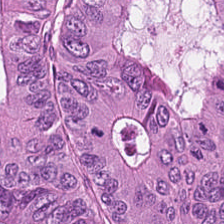Brightfield microscopy. H&E-stained tissue section. 224×224 px tile.
Q: What tissue type is shown here?
A: It is malignant epithelium.
